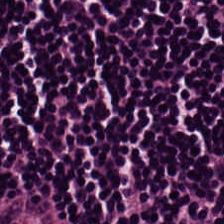H&E — Tissue — lymphoid infiltrate.
